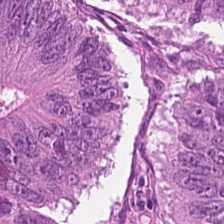WSI patch. H&E — Showing colorectal adenocarcinoma.
